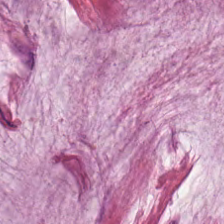H&E-stained tissue section.
Impression — extracellular mucin.
